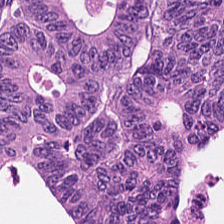H&E-stained tissue section. Predominant tissue: colorectal adenocarcinoma epithelium.
